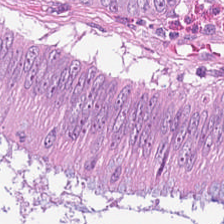Predominant tissue — tumor epithelium.
